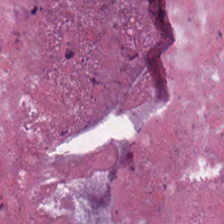Stain: H&E.
Predominant tissue: cellular debris.
